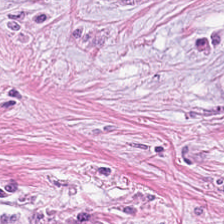Hematoxylin and eosin.
This field is cancer-associated stroma.
